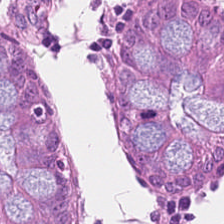H&E-stained tissue section — This patch shows non-neoplastic colon mucosa.
